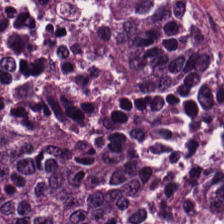Formalin-fixed paraffin-embedded section · H&E. {"tissue_type": "malignant epithelium"}
